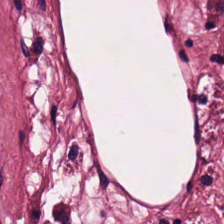H&E-stained section; the field shows desmoplastic stroma.
